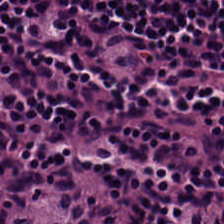0.5 microns per pixel. H&E stain. Brightfield.
The tissue here is lymphocyte aggregate.
